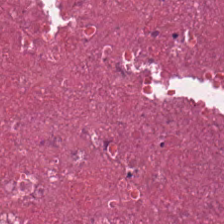Tissue type — necrotic debris.
